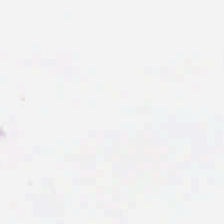FFPE tissue section. Hematoxylin-and-eosin stained section. Brightfield microscopy.
Background.
